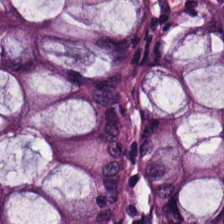Showing normal colon mucosa.
